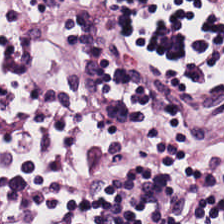H&E stain.
Q: What is the predominant tissue type?
A: Lymphocytes.
